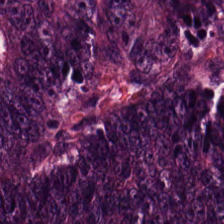H&E stain; formalin-fixed paraffin-embedded section.
The predominant tissue is colorectal adenocarcinoma.
